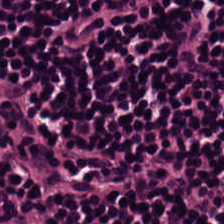FFPE tissue section; hematoxylin and eosin; 224×224 pixel tile — Q: What does this patch show?
A: Lymphocyte aggregate.
